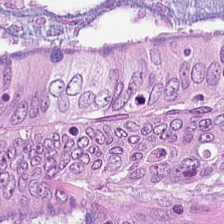H&E-stained tissue section.
Histology — colorectal adenocarcinoma epithelium.
